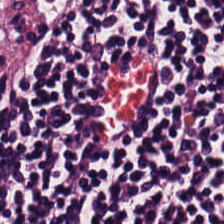H&E-stained section; the field shows lymphoid infiltrate.
